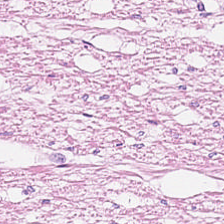H&E stain. 224×224 px patch — This patch shows smooth-muscle tissue.
